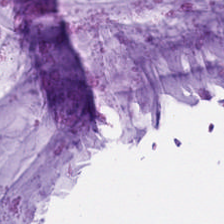H&E. This field is mucus.
